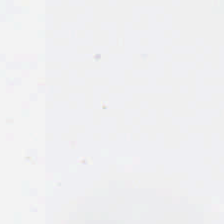Hematoxylin and eosin.
The classification is no tissue.
